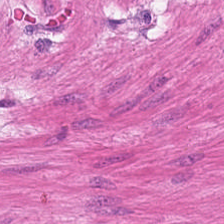224×224 px tile · 0.5 microns per pixel · H&E-stained tissue section — Finding → muscularis.
